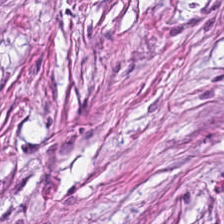Stain: hematoxylin and eosin.
Predominant tissue: tumor stroma.
